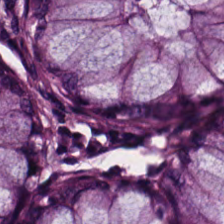Finding — normal colon mucosa.
